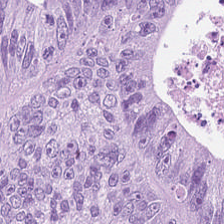H&E-stained tissue section; brightfield.
Finding → colorectal adenocarcinoma epithelium.
